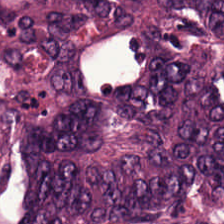H&E — adenocarcinoma.
